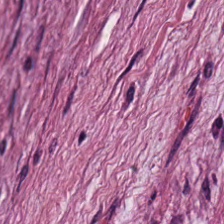Tissue class — tumor-associated stroma.
